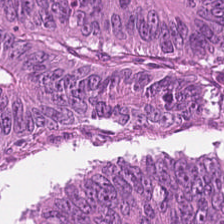Whole-slide-image patch. H&E-stained tissue section. Q: What is shown in this field?
A: This is colorectal adenocarcinoma epithelium.
